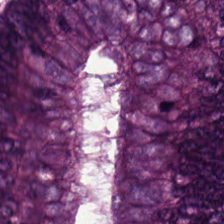{"tissue_type": "colorectal adenocarcinoma epithelium"}
